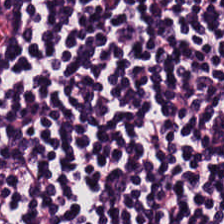This field is lymphoid infiltrate.
